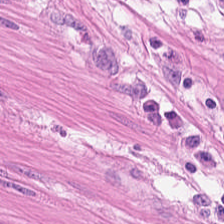FFPE tissue section. H&E-stained tissue section. Q: What is the predominant tissue type?
A: The field shows smooth muscle.
